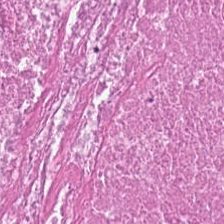Stain: H&E-stained tissue section.
Resolution: 20× equivalent magnification.
Tile size: 224×224 pixel tile.
Predominant tissue: necrotic debris.
